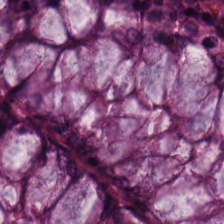Hematoxylin and eosin.
Showing normal colonic mucosa.
